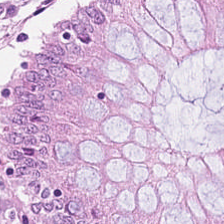H&E stain — Q: Identify the tissue.
A: The field shows non-neoplastic colon mucosa.
